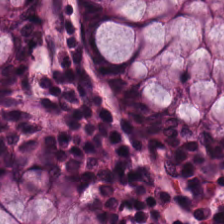FFPE; hematoxylin-and-eosin stained section. Q: What is shown in this field?
A: The field shows benign colonic mucosa.
